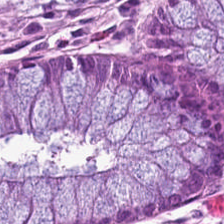Formalin-fixed paraffin-embedded section. Hematoxylin and eosin.
The tissue here is benign colonic mucosa.
